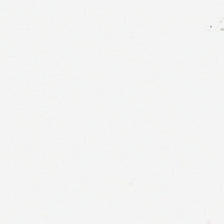Stain: hematoxylin and eosin.
Tile size: 224×224 px tile.
Resolution: 0.5 microns per pixel.
Classification: empty background.
